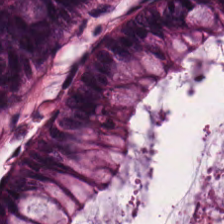Hematoxylin and eosin.
Predominantly benign colonic mucosa.
